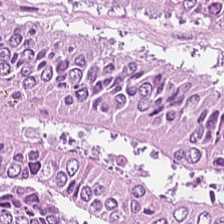H&E.
Tissue = adenocarcinoma.
